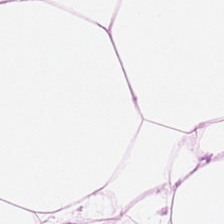FFPE tissue section · 224×224 pixel tile · H&E stain — The predominant tissue is adipose.
